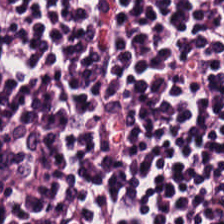Tissue type = lymphocyte aggregate.
